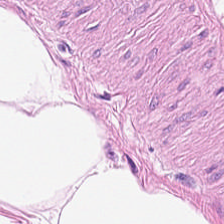0.5 µm per pixel. H&E — Predominantly adipocytes.
